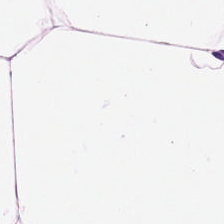H&E. 0.5 µm/px. Brightfield.
The tissue is adipocytes.
